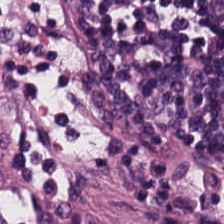Brightfield · hematoxylin-and-eosin stained section — Q: What tissue is shown?
A: Lymphoid infiltrate.
